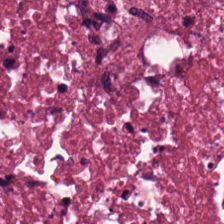224×224 pixel tile · hematoxylin-and-eosin stained section. Showing debris.
